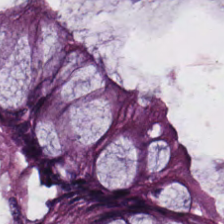Stain: H&E.
Classification: benign colonic mucosa.
